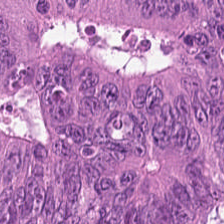H&E-stained tissue section. WSI patch. 0.5 microns per pixel. Predominantly colorectal adenocarcinoma.
